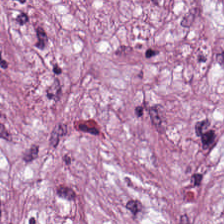Hematoxylin and eosin; brightfield microscopy. Tissue type = tumor stroma.
